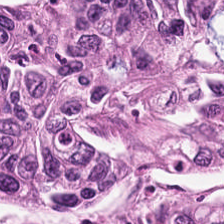Showing tumor epithelium.
